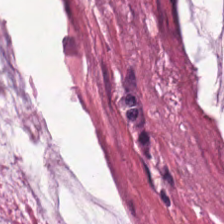Q: What does this patch show?
A: It is extracellular mucin.
